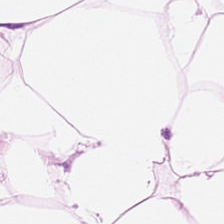Stain: H&E stain.
Tile size: 224×224 pixel tile.
Tissue class: adipocytes.
